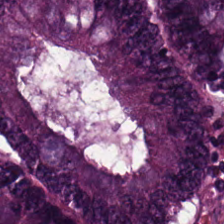Hematoxylin-and-eosin stained section; 0.5 microns per pixel. Tissue class — malignant epithelium.
